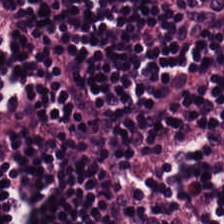Q: What tissue type is shown here?
A: Lymphocyte aggregate.
